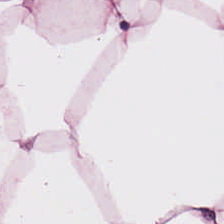The tissue type is adipocytes.
